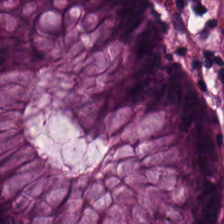224×224 px tile · FFPE · H&E — Histology — normal colon mucosa.
